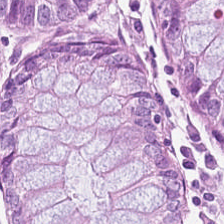0.5 µm per pixel. H&E-stained tissue section — Predominant tissue: benign colonic mucosa.
